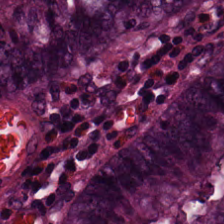Brightfield microscopy. Formalin-fixed paraffin-embedded section. H&E-stained tissue section.
This field is benign colonic mucosa.
